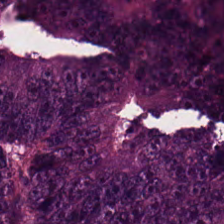Predominant tissue — colorectal adenocarcinoma.
